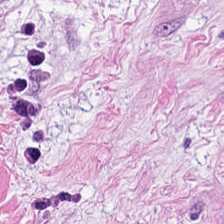Classification = tumor-associated stroma.
